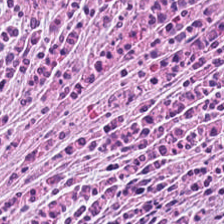H&E — tumor stroma.
